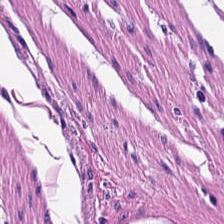Hematoxylin-and-eosin stained section — This field is muscularis.
